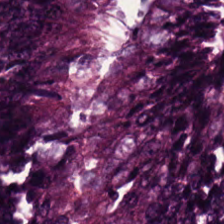Hematoxylin and eosin.
Impression — tumor epithelium.
